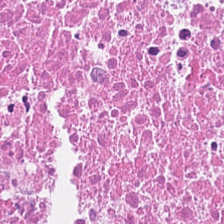Predominant tissue = cellular debris.
